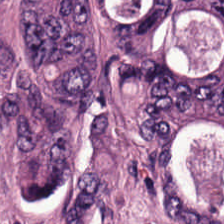0.5 microns per pixel; brightfield microscopy; H&E — Malignant epithelium.
